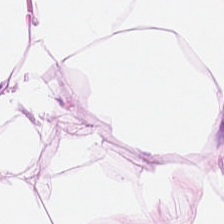Hematoxylin and eosin — This patch shows adipose tissue.
